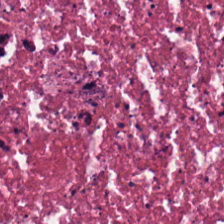H&E. Impression → debris.
